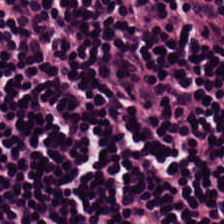Hematoxylin and eosin. Brightfield microscopy. 224×224 pixel tile — Showing lymphocyte aggregate.
